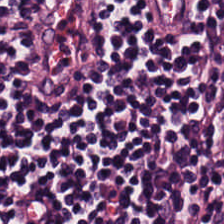Classification: lymphoid infiltrate.
